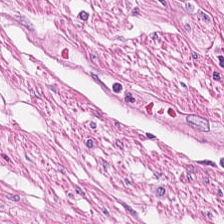The tissue class is smooth muscle.
